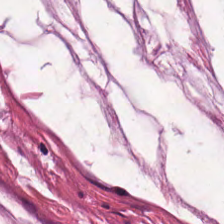20× equivalent magnification. Hematoxylin-and-eosin stained section.
Q: What tissue is shown?
A: The field shows extracellular mucin.
